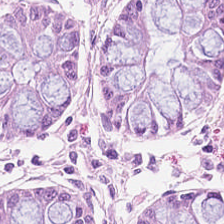Hematoxylin-and-eosin stained section.
Tissue type — normal colon mucosa.
